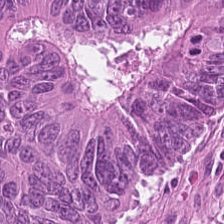H&E-stained tissue section — Predominantly malignant epithelium.
